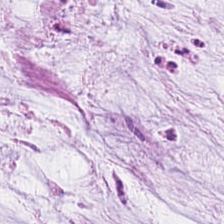FFPE tissue section. H&E-stained tissue section. Q: Identify the tissue.
A: The field shows mucus.
